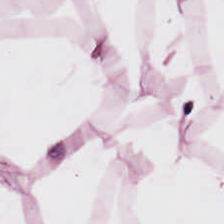H&E-stained tissue section — Showing adipocytes.
